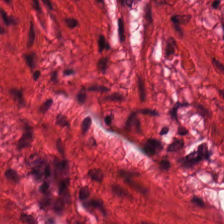H&E. Tissue: muscularis.
